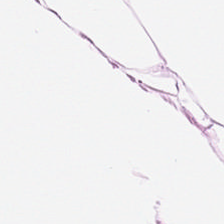Stain: H&E.
Tissue class: adipose tissue.
